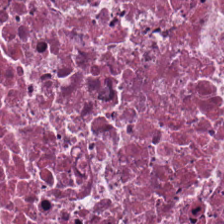Stain: H&E-stained tissue section.
Tissue class: debris.
